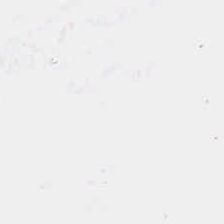Content — empty background.
